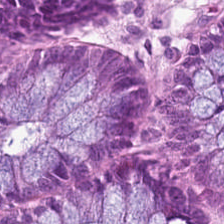H&E. Formalin-fixed paraffin-embedded section. Q: Classify this patch.
A: The field shows normal colon mucosa.
